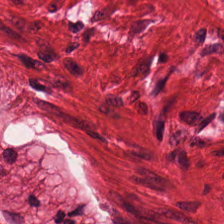The classification is muscularis.
